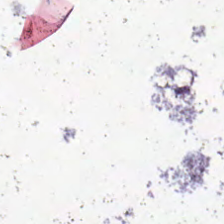H&E · brightfield · FFPE — Background — no tissue in this field.
